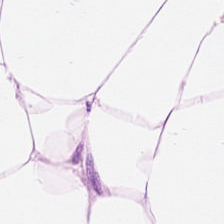Q: What type of tissue is this?
A: Adipose.
